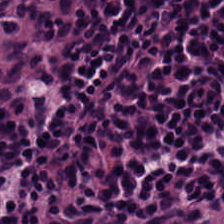Hematoxylin-and-eosin stained section.
Showing lymphocytes.
